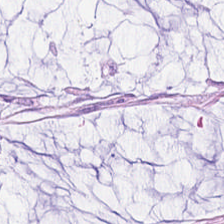Classification — mucus.
